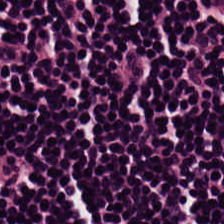H&E.
This patch shows lymphocytes.
